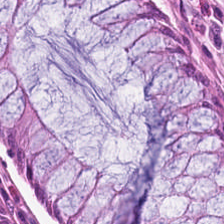H&E stain. The predominant tissue is normal colon mucosa.
